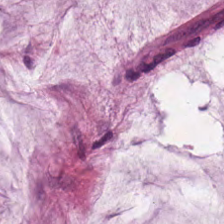Hematoxylin-and-eosin stained section · 0.5 µm/px · FFPE tissue section. The predominant tissue is mucus.
